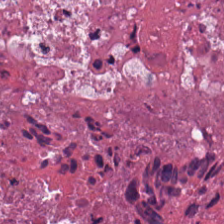Tissue type = necrotic debris.
